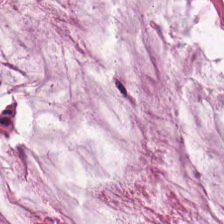H&E-stained tissue section · FFPE tissue section.
Q: What is shown in this field?
A: This is mucin.
